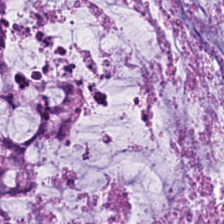H&E-stained tissue section · whole-slide-image patch — Classification = mucus.
